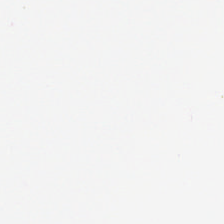H&E stain — No tissue present; background only.
